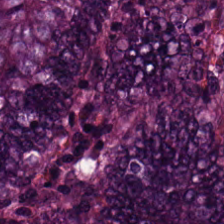Colorectal adenocarcinoma.
